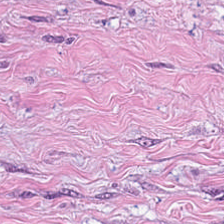Stain: H&E stain.
Tissue: cancer-associated stroma.
